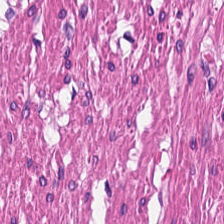Stain: H&E.
Classification: smooth muscle.
